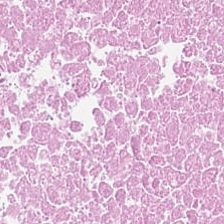Hematoxylin-and-eosin stained section. Showing debris.
